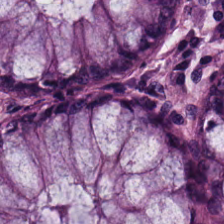Hematoxylin-and-eosin stained section.
Predominant tissue = non-neoplastic colon mucosa.
